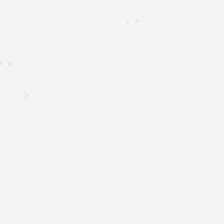Hematoxylin-and-eosin stained section — Empty field — no tissue.
